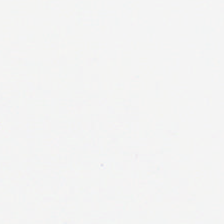Empty field — background.
